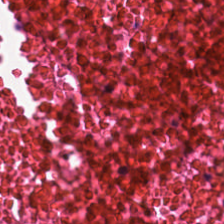This field is necrotic debris.
